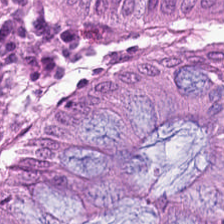Q: What tissue is shown?
A: The field shows normal colonic mucosa.
